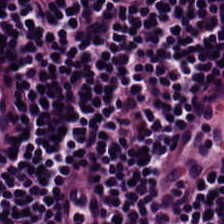0.5 µm/px · brightfield microscopy · H&E stain.
Q: What does this patch show?
A: Lymphocyte aggregate.
